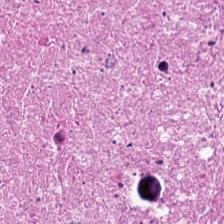H&E stain — Showing debris.
